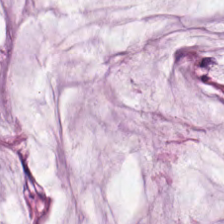H&E — Tissue class: mucus.
